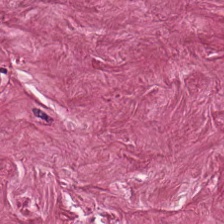H&E stain — Q: Classify this patch.
A: This is tumor-associated stroma.
